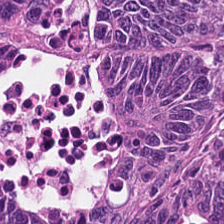{"tissue_type": "tumor epithelium"}
